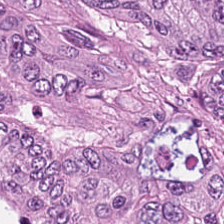Hematoxylin-and-eosin stained section.
Classification: adenocarcinoma.
